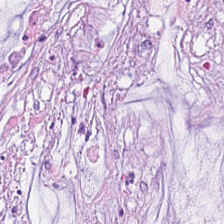H&E-stained tissue section · 0.5 µm per pixel. Mucin.
